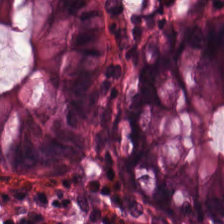224×224 px patch · H&E · brightfield microscopy.
Tissue type = normal colon mucosa.
